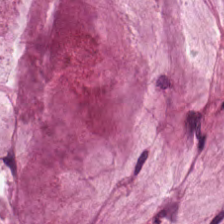H&E-stained tissue section.
Q: What is shown here?
A: The field shows extracellular mucin.
